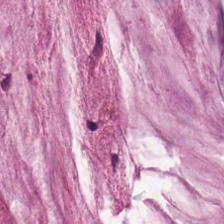0.5 microns per pixel; H&E — Q: Identify the tissue.
A: It is mucin.
